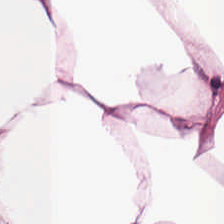Hematoxylin and eosin; whole-slide-image patch; 224×224 px tile. Q: Classify this patch.
A: The field shows adipose.
